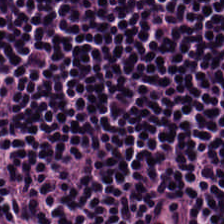224×224 pixel tile · H&E · formalin-fixed paraffin-embedded section — Tissue class: lymphocytes.
